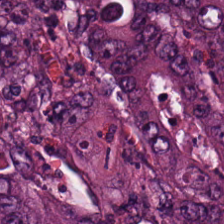Stain: H&E.
Tissue: tumor epithelium.
